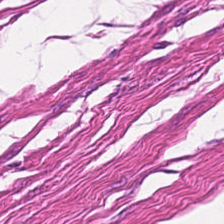224×224 px patch · H&E-stained tissue section — Predominant tissue = muscularis.
